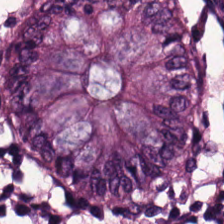H&E stain; 224×224 px tile. {"tissue_type": "normal colonic mucosa"}
